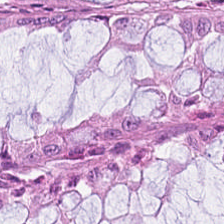Hematoxylin and eosin; 224×224 px patch — Impression — normal colonic mucosa.
